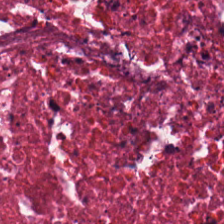Stain: hematoxylin-and-eosin stained section.
Classification: necrotic debris.
